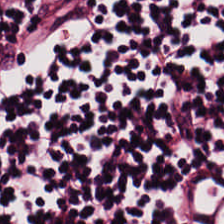H&E-stained tissue section showing lymphocyte aggregate.
